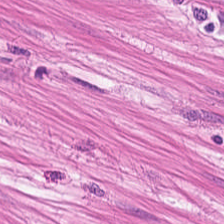Formalin-fixed paraffin-embedded section; brightfield; H&E stain.
Q: What is shown in this field?
A: The field shows smooth-muscle tissue.
